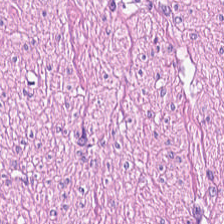224×224 pixel tile · H&E · formalin-fixed paraffin-embedded section. Q: What tissue is shown?
A: This is smooth muscle.
